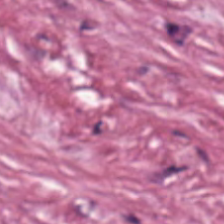H&E. FFPE — Q: Classify this patch.
A: This is tumor-associated stroma.
